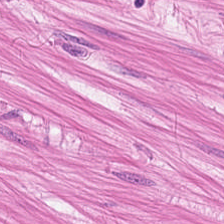Stain: H&E stain.
Predominant tissue: smooth muscle.
